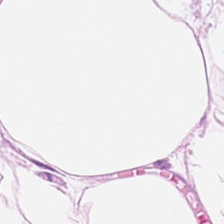Stain: H&E stain.
Tissue type: adipocytes.
